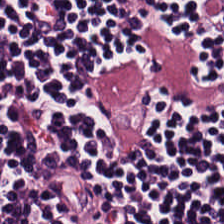224×224 pixel tile; H&E-stained tissue section. Q: What tissue is shown?
A: Lymphoid infiltrate.
